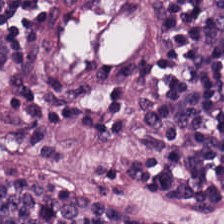Classification: lymphocyte aggregate.
